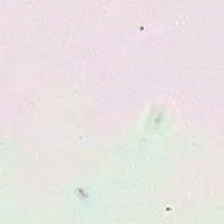H&E — Q: What is shown here?
A: The field shows empty background.
